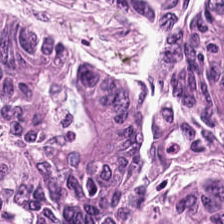Stain: H&E-stained tissue section.
Predominant tissue: colorectal adenocarcinoma epithelium.
